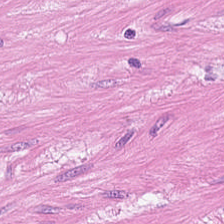Brightfield microscopy; H&E. Tissue — smooth muscle.
